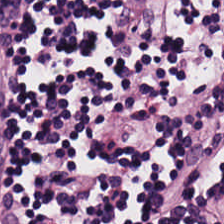H&E stain — The predominant tissue is lymphoid infiltrate.
